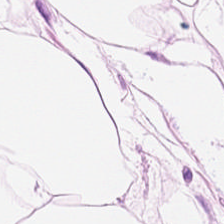FFPE tissue section; 224×224 px patch; H&E — Impression — adipose.
